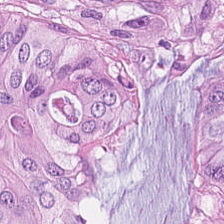Q: Classify this patch.
A: It is colorectal adenocarcinoma epithelium.
